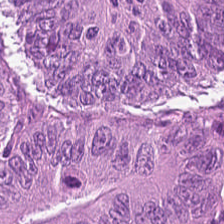H&E stain; 20× equivalent magnification. This patch shows tumor epithelium.
